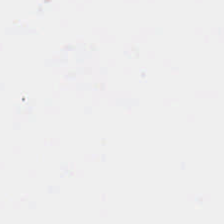Impression — empty background.
